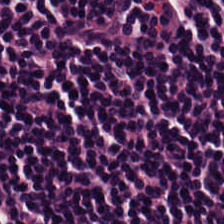Stain: H&E.
Preparation: FFPE tissue section.
Classification: lymphocyte aggregate.
